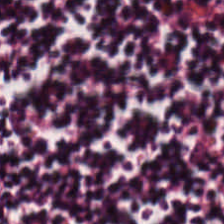0.5 µm per pixel · hematoxylin and eosin.
Showing lymphocytic infiltrate.
